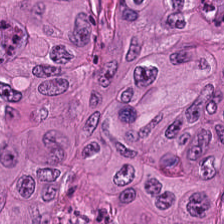WSI patch. Hematoxylin-and-eosin stained section. Finding — adenocarcinoma.
